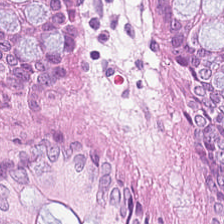H&E-stained tissue section showing benign colonic mucosa.
